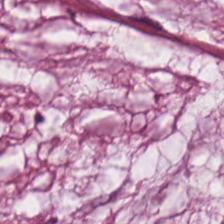Brightfield · H&E — Q: Classify this patch.
A: Mucus.
